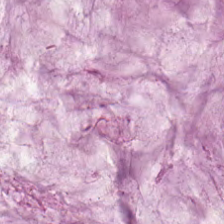Hematoxylin and eosin — Showing mucus.
